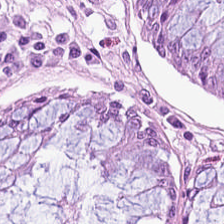The tissue here is non-neoplastic colon mucosa.
